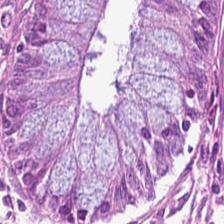Predominantly normal colon mucosa.
